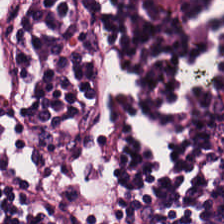Q: What does this patch show?
A: It is lymphoid infiltrate.
